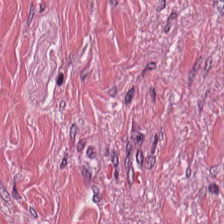H&E-stained tissue section · whole-slide-image patch — {"tissue_type": "desmoplastic stroma"}
